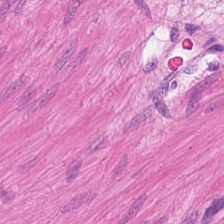Hematoxylin-and-eosin stained section. This field is smooth-muscle tissue.
